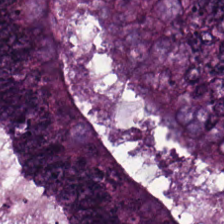H&E-stained tissue section.
The predominant tissue is tumor epithelium.
